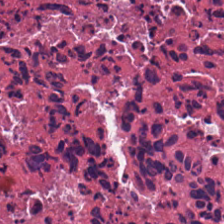Stain: hematoxylin-and-eosin stained section.
Tissue: necrotic debris.
